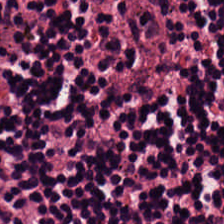Q: What is shown here?
A: The field shows lymphocytic infiltrate.
